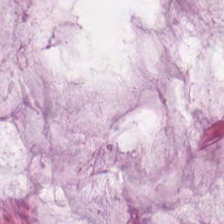Stain: hematoxylin and eosin.
Tissue: extracellular mucin.
